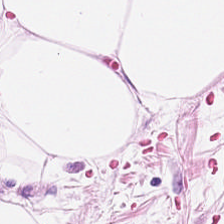Stain: H&E.
Tissue: adipocytes.
